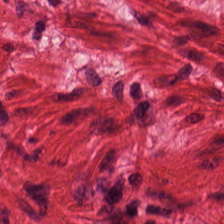Formalin-fixed paraffin-embedded section; whole-slide-image patch; hematoxylin-and-eosin stained section. This patch shows smooth-muscle tissue.
